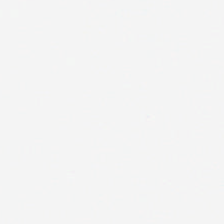H&E stain; 0.5 µm/px; whole-slide-image patch — Q: What does this patch show?
A: The field shows no tissue.
